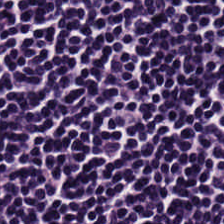Hematoxylin and eosin.
Q: What is the predominant tissue type?
A: Lymphocyte aggregate.
